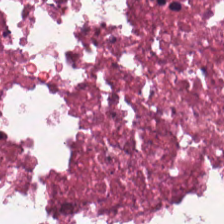H&E stain.
Showing necrotic debris.
